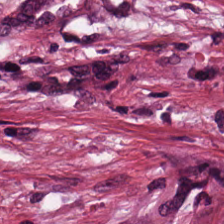Hematoxylin-and-eosin stained section — Predominantly cancer-associated stroma.
